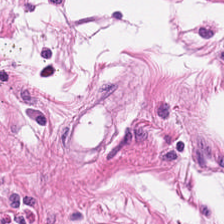Brightfield; H&E-stained tissue section; 224×224 px tile. Q: What tissue is shown?
A: The field shows smooth-muscle tissue.
